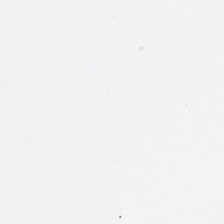H&E; formalin-fixed paraffin-embedded section. No tissue present; background only.
